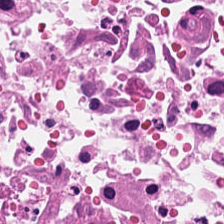Hematoxylin and eosin — Predominant tissue — necrotic debris.
